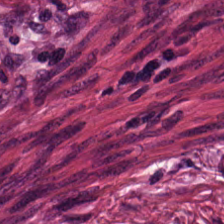WSI patch; FFPE; H&E stain.
Showing tumor stroma.
